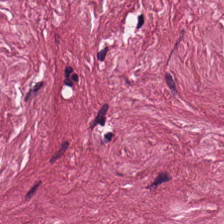0.5 µm/px; 224×224 px patch; H&E. Histology → tumor-associated stroma.
